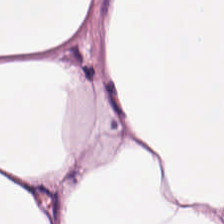Hematoxylin-and-eosin stained section.
Impression — adipose.
